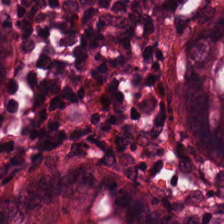Stain: H&E stain.
Tissue class: benign colonic mucosa.
